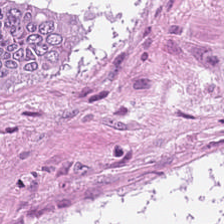Tissue type: colorectal adenocarcinoma epithelium.
